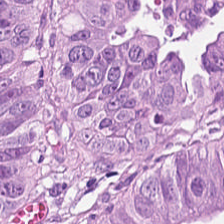H&E.
Q: Identify the tissue.
A: The field shows malignant epithelium.
